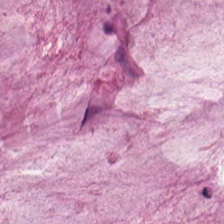Stain: hematoxylin-and-eosin stained section.
Tile size: 224×224 px tile.
Preparation: FFPE tissue section.
Tissue: mucus.
